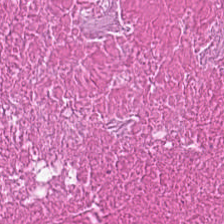Stain: hematoxylin and eosin.
Preparation: FFPE.
Tissue: cellular debris.
